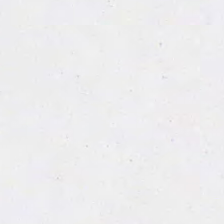Brightfield. FFPE tissue section. H&E. The classification is background (no tissue).
